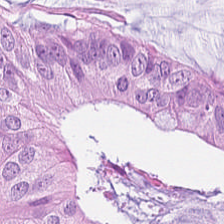Predominant tissue — tumor epithelium.
